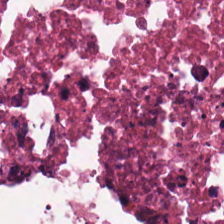H&E — debris.
